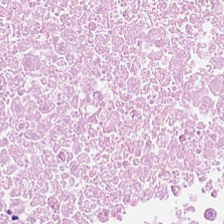Tissue = necrotic debris.
